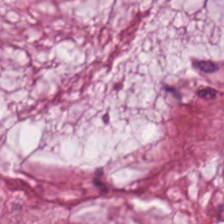WSI patch; hematoxylin-and-eosin stained section; 0.5 microns per pixel. The classification is extracellular mucin.
